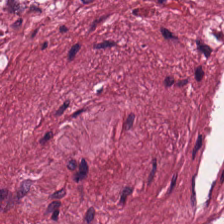Cancer-associated stroma.
